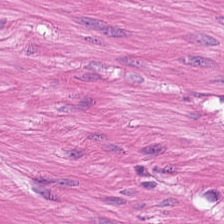Formalin-fixed paraffin-embedded section. 0.5 microns per pixel. Hematoxylin and eosin. Q: What is shown here?
A: Muscularis.
